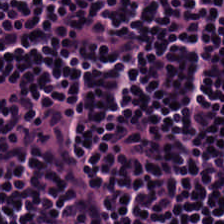Q: What type of tissue is this?
A: This is lymphoid infiltrate.
